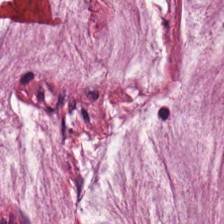224×224 px tile. H&E-stained tissue section.
{"tissue_type": "mucus"}
